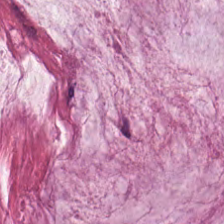Classification = mucus.
